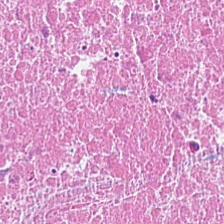H&E — This field is debris.
